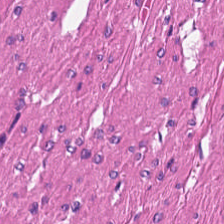0.5 µm per pixel · hematoxylin-and-eosin stained section.
Smooth-muscle tissue.
